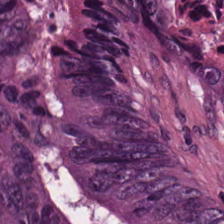Hematoxylin and eosin · 0.5 microns per pixel · FFPE tissue section.
Finding → debris.
